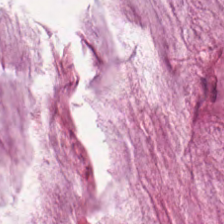FFPE tissue section · hematoxylin and eosin · 224×224 px patch.
Tissue class = mucus.
